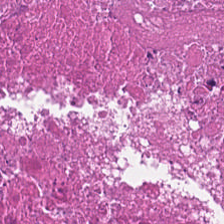Hematoxylin-and-eosin stained section · 224×224 pixel tile.
This patch shows necrotic debris.
